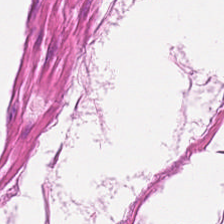Q: What is shown in this field?
A: This is smooth-muscle tissue.
